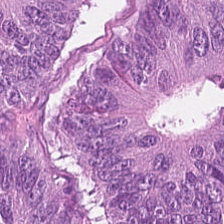Hematoxylin and eosin.
Predominant tissue — colorectal adenocarcinoma.
